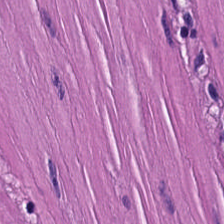H&E.
Tissue = smooth-muscle tissue.
